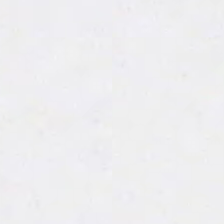H&E-stained tissue section.
This patch shows background (no tissue).
